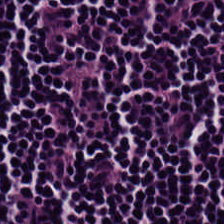0.5 µm per pixel · H&E stain. Tissue — lymphocytic infiltrate.
